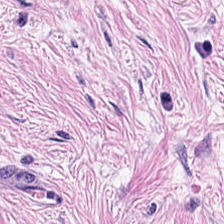H&E-stained tissue section showing tumor-associated stroma.
